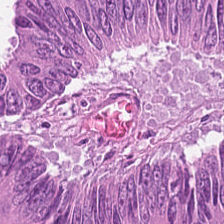0.5 µm per pixel · H&E-stained tissue section.
This field is adenocarcinoma.
